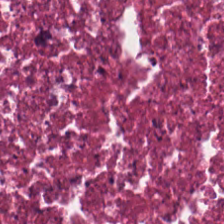FFPE. Hematoxylin and eosin — Tissue class — debris.
